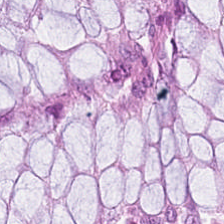H&E — Finding → benign colonic mucosa.
